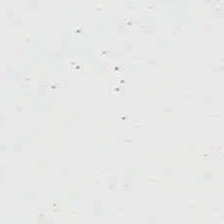H&E. 224×224 px patch. Brightfield microscopy. Empty field — background.
